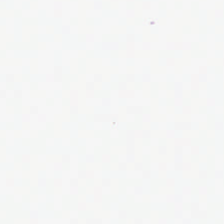H&E. 224×224 px tile.
Classification = empty background.
